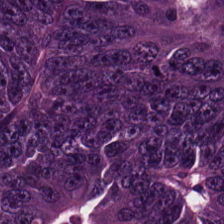H&E stain. 224×224 px tile. This field is colorectal adenocarcinoma epithelium.
